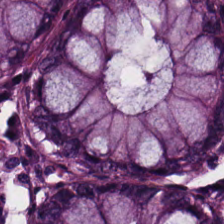Hematoxylin-and-eosin stained section.
Predominantly normal colon mucosa.
